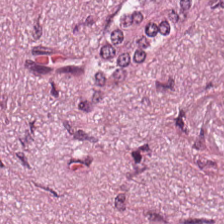Hematoxylin and eosin; FFPE tissue section.
Q: What is shown in this field?
A: The field shows cancer-associated stroma.
